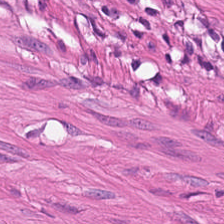Stain: hematoxylin and eosin.
Predominant tissue: smooth-muscle tissue.
